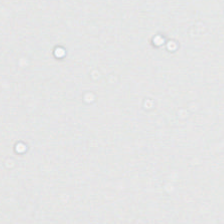Content = empty background.
